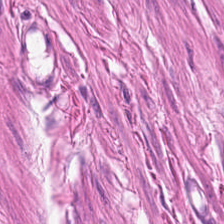224×224 px tile. H&E. The tissue type is smooth muscle.
